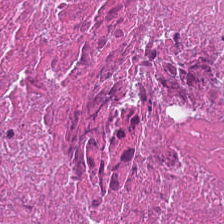H&E. Whole-slide-image patch. Q: Identify the tissue.
A: This is cellular debris.
